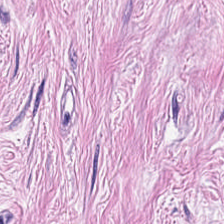H&E · 224×224 px patch. Finding → desmoplastic stroma.
